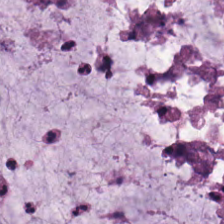H&E-stained tissue section — The predominant tissue is extracellular mucin.
